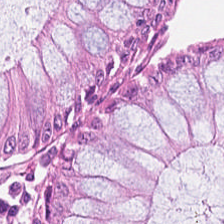Hematoxylin-and-eosin stained section. Impression → benign colonic mucosa.
